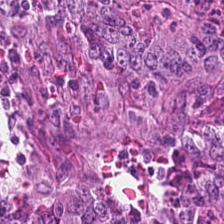224×224 pixel tile. H&E. Q: What does this patch show?
A: This is tumor epithelium.
